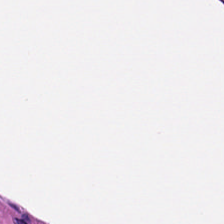Hematoxylin and eosin · FFPE · 224×224 px tile — Finding — smooth-muscle tissue.
